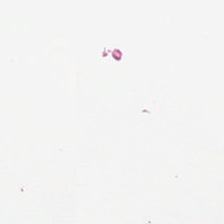224×224 pixel tile · H&E stain.
Q: What is shown here?
A: It is no tissue.
